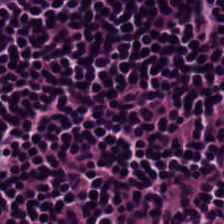H&E-stained tissue section; 224×224 pixel tile.
The tissue here is lymphoid infiltrate.
